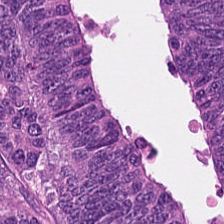FFPE. 0.5 µm/px. Hematoxylin and eosin.
Impression — malignant epithelium.
